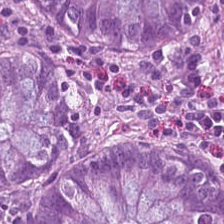{"tissue_type": "normal colon mucosa"}
